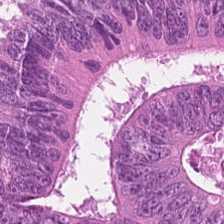Showing malignant epithelium.
